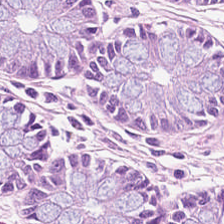H&E-stained tissue section.
Finding → non-neoplastic colon mucosa.
